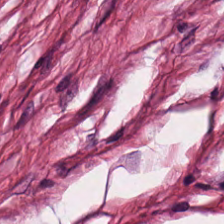H&E-stained tissue section.
This field is tumor-associated stroma.
